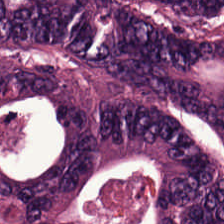Hematoxylin and eosin.
The tissue class is malignant epithelium.
